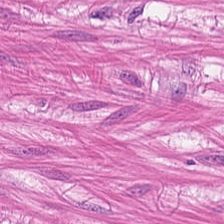H&E.
Predominantly smooth muscle.
